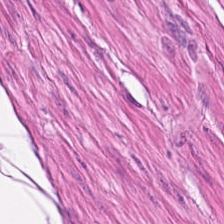Hematoxylin and eosin. Predominant tissue: smooth muscle.
